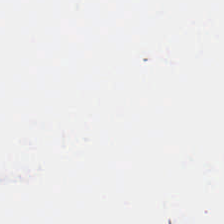Stain: hematoxylin-and-eosin stained section.
Acquisition: brightfield.
Preparation: FFPE.
Content: background (no tissue).
